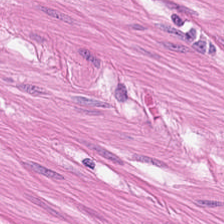Hematoxylin-and-eosin stained section.
Showing smooth-muscle tissue.
